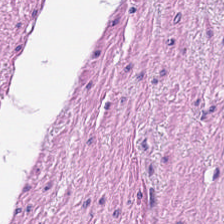224×224 px tile · FFPE tissue section · H&E-stained tissue section. Q: Identify the tissue.
A: It is smooth muscle.
